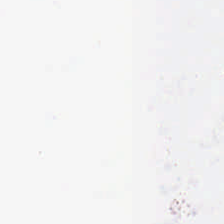0.5 µm per pixel · WSI patch · H&E stain.
Classification = no tissue.
